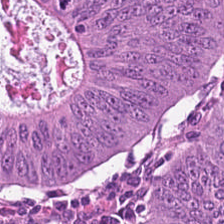H&E-stained tissue section. Predominant tissue — tumor epithelium.
